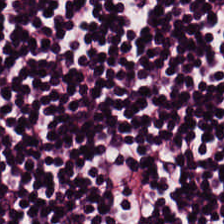The tissue type is lymphoid infiltrate.
